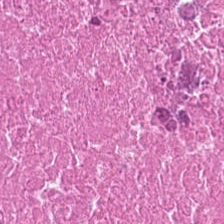H&E patch showing necrotic debris.
